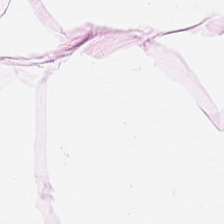H&E-stained tissue section — This field is adipose tissue.
